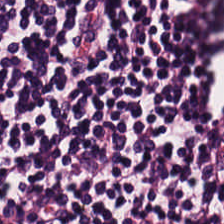Q: What does this patch show?
A: Lymphocytes.
